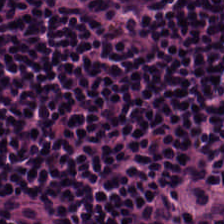Tissue class = lymphocytes.
